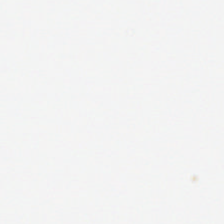H&E · formalin-fixed paraffin-embedded section.
No tissue present; background only.
